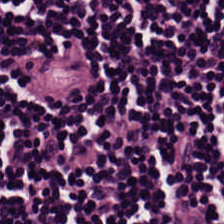Stain: hematoxylin and eosin.
Tissue class: lymphocyte aggregate.
